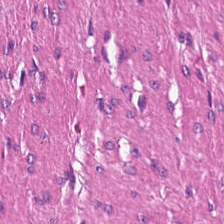{"tissue_type": "smooth muscle"}
